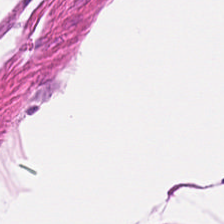The tissue class is smooth-muscle tissue.
